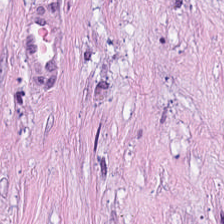Stain: H&E stain.
Preparation: FFPE tissue section.
Tissue: desmoplastic stroma.
